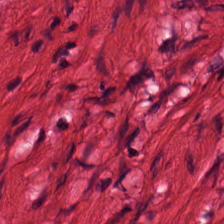This patch shows smooth muscle.
